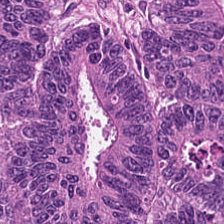Tissue class = colorectal adenocarcinoma epithelium.
